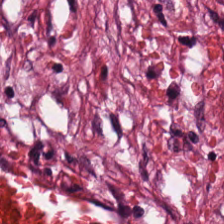H&E-stained tissue section; 0.5 µm per pixel. The predominant tissue is tumor-associated stroma.
